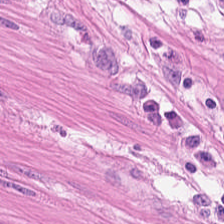H&E stain · FFPE · whole-slide-image patch — This patch shows smooth-muscle tissue.
